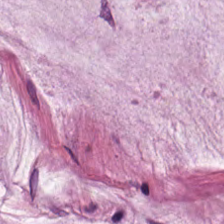Q: Classify this patch.
A: The field shows mucin.
